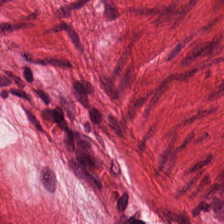H&E — {"tissue_type": "muscularis"}
